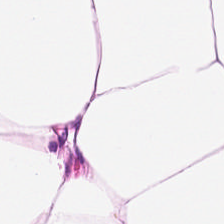FFPE. H&E-stained tissue section. Tissue class: adipose.
